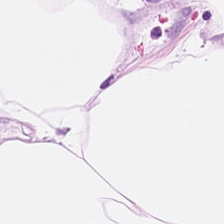H&E-stained tissue section.
Q: What tissue type is shown here?
A: The field shows adipocytes.
